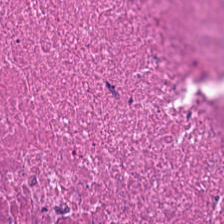Stain: H&E stain.
Preparation: formalin-fixed paraffin-embedded section.
Tissue class: debris.
